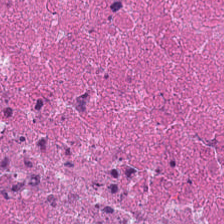Tissue = debris.
